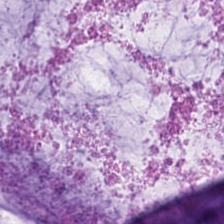H&E stain. Brightfield. 224×224 px patch. Tissue type = mucin.
